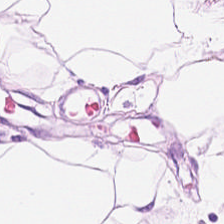20× equivalent magnification. H&E stain.
Histology → adipocytes.
